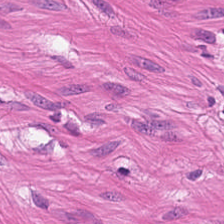Q: What is the predominant tissue type?
A: The field shows smooth muscle.
